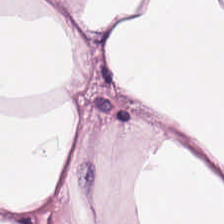Stain: H&E stain.
Classification: adipocytes.
